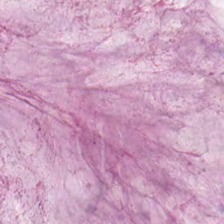224×224 px tile · H&E-stained tissue section.
Impression → mucin.
